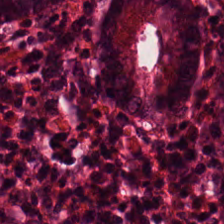H&E-stained section; the field shows normal colonic mucosa.
